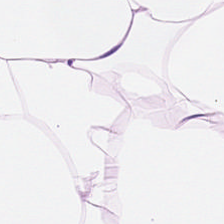H&E stain. The tissue is fat tissue.
